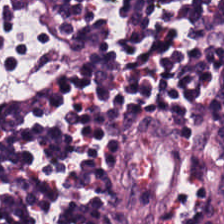H&E-stained tissue section. 224×224 px tile.
This field is lymphocyte aggregate.
